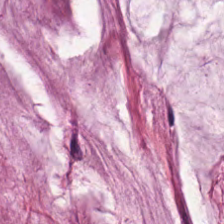H&E-stained tissue section — Q: What does this patch show?
A: It is mucus.
